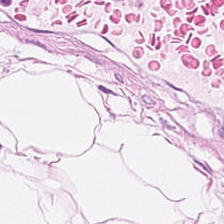Hematoxylin-and-eosin stained section — This field is fat tissue.
